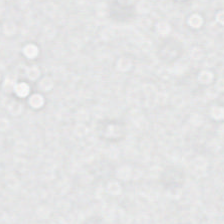Finding → background (no tissue).
